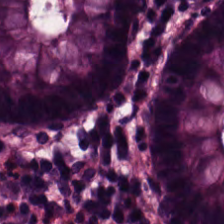Formalin-fixed paraffin-embedded section. H&E stain — This field is normal colon mucosa.
